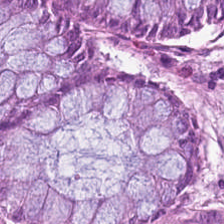Hematoxylin-and-eosin stained section.
This patch shows non-neoplastic colon mucosa.
